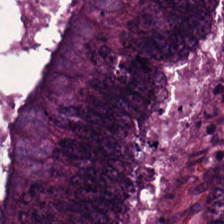This patch shows colorectal adenocarcinoma epithelium.
